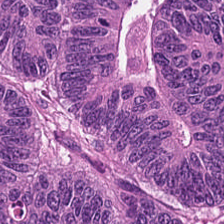Q: Identify the tissue.
A: The field shows malignant epithelium.
